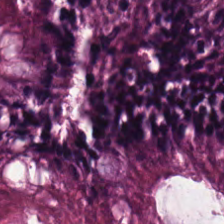224×224 px patch · hematoxylin and eosin · WSI patch — Predominantly non-neoplastic colon mucosa.
